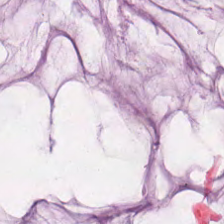Whole-slide-image patch; H&E stain.
Q: Classify this patch.
A: This is extracellular mucin.
